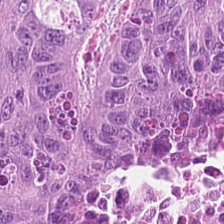Brightfield microscopy · hematoxylin-and-eosin stained section. Q: What tissue type is shown here?
A: Colorectal adenocarcinoma.
